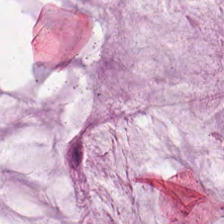{"tissue_type": "mucus"}
